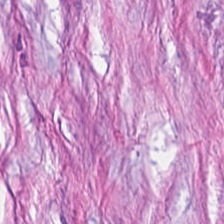Hematoxylin-and-eosin stained section. The predominant tissue is tumor-associated stroma.
